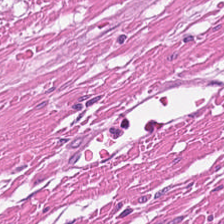Stain: H&E-stained tissue section.
Resolution: 0.5 µm per pixel.
Predominant tissue: smooth muscle.
